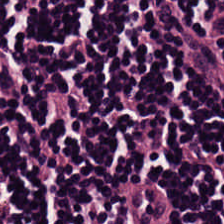H&E. The predominant tissue is lymphocytes.
